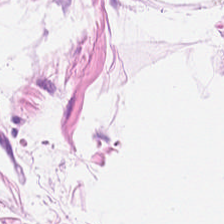Stain: hematoxylin-and-eosin stained section.
Tissue class: adipocytes.
